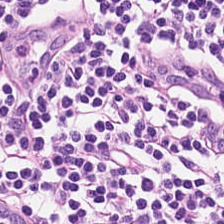FFPE · hematoxylin-and-eosin stained section — Q: What does this patch show?
A: It is lymphoid infiltrate.
